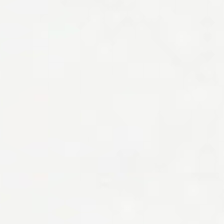FFPE tissue section; hematoxylin-and-eosin stained section. Field content: background.
